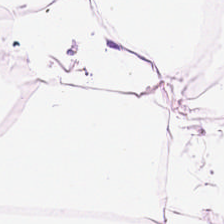Impression → adipocytes.
